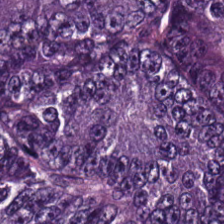H&E-stained tissue section.
The predominant tissue is tumor epithelium.
